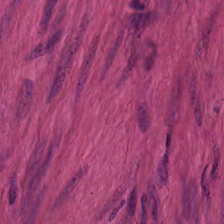Predominant tissue — smooth muscle.
